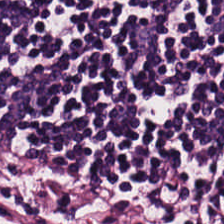Hematoxylin-and-eosin stained section.
Predominantly lymphoid infiltrate.
